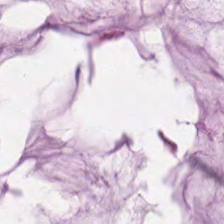Hematoxylin and eosin — Q: What tissue is shown?
A: It is mucus.
